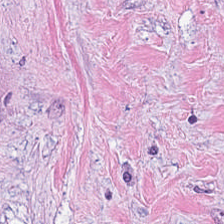Histology — cancer-associated stroma.
